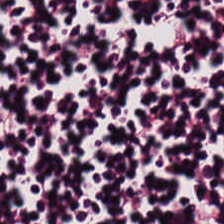H&E-stained tissue section — Classification — lymphocyte aggregate.
